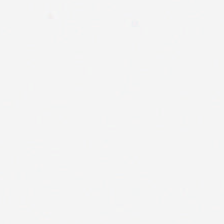224×224 pixel tile; H&E stain — Impression → background (no tissue).
